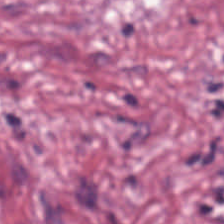Stain: H&E.
Tissue type: desmoplastic stroma.
